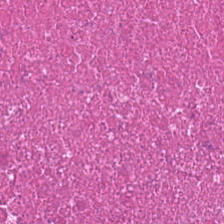Predominant tissue — necrotic debris.
